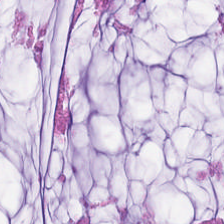Stain: H&E-stained tissue section.
Acquisition: brightfield.
Tissue: mucin.
